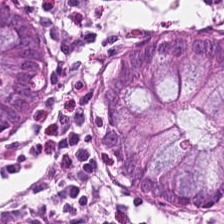Formalin-fixed paraffin-embedded section. Hematoxylin-and-eosin stained section. 224×224 px patch. Tissue — benign colonic mucosa.
